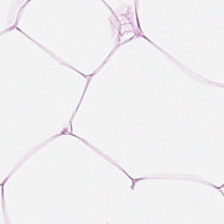0.5 µm/px · hematoxylin and eosin · 224×224 px patch.
This field is adipose tissue.
